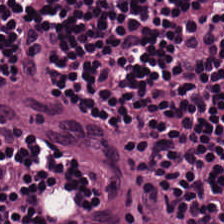Hematoxylin and eosin. 20× equivalent magnification.
Q: What type of tissue is this?
A: Lymphocyte aggregate.
